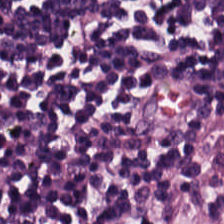Impression — lymphoid infiltrate.
